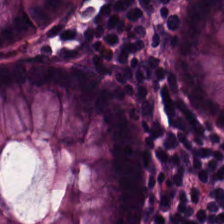Hematoxylin-and-eosin stained section.
The predominant tissue is benign colonic mucosa.
